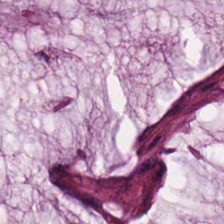Q: Classify this patch.
A: The field shows mucin.
